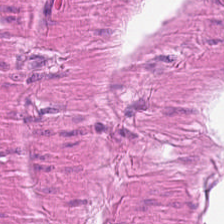Hematoxylin-and-eosin stained section. Predominant tissue = smooth muscle.
